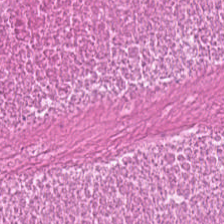Cellular debris.
